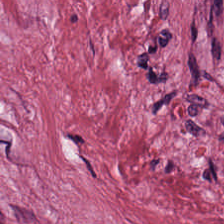H&E-stained tissue section — This patch shows cancer-associated stroma.
